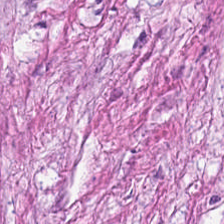Formalin-fixed paraffin-embedded section. H&E. WSI patch.
Predominantly desmoplastic stroma.
